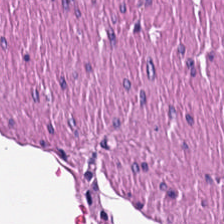Stain: H&E.
Tissue type: smooth-muscle tissue.
